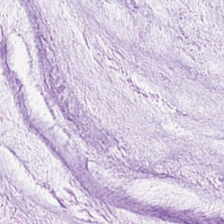H&E — extracellular mucin.
